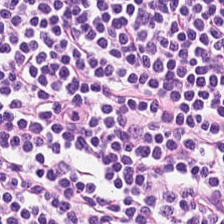Hematoxylin and eosin.
Classification: lymphocytes.
